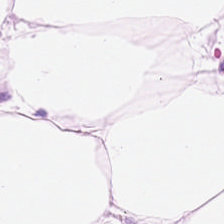0.5 microns per pixel; H&E.
Impression — fat tissue.
